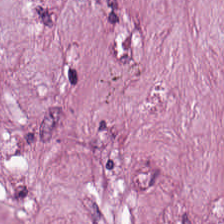H&E-stained tissue section showing desmoplastic stroma.
